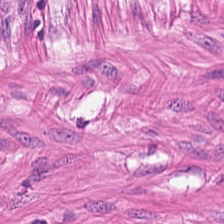Tissue type — smooth muscle.
